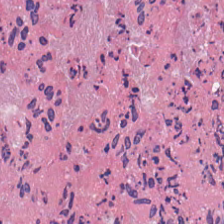Stain: hematoxylin-and-eosin stained section.
Resolution: 0.5 µm/px.
Tissue: cellular debris.
